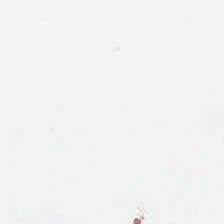This field is background (no tissue).
